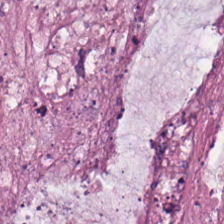Hematoxylin-and-eosin stained section. Q: What is the predominant tissue type?
A: Mucus.
